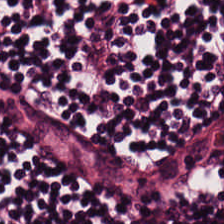Tissue type — lymphocytic infiltrate.
